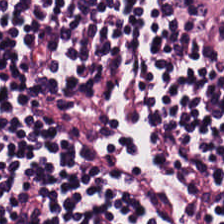Stain: H&E-stained tissue section.
Tissue: lymphoid infiltrate.
